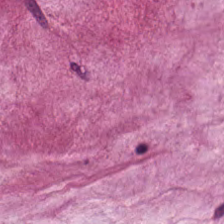Stain: H&E-stained tissue section.
Predominant tissue: extracellular mucin.
